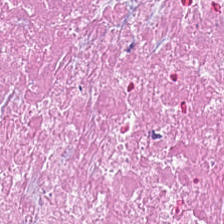Histology — necrotic debris.
